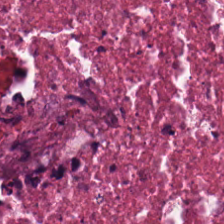Hematoxylin-and-eosin stained section.
Q: What tissue is shown?
A: This is necrotic debris.
